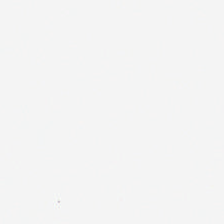WSI patch. H&E stain.
This field is background (no tissue).
